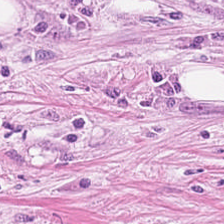Predominantly tumor stroma.
